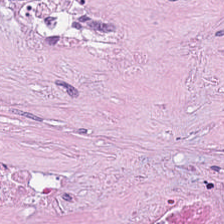Whole-slide-image patch. Hematoxylin-and-eosin stained section — The tissue here is cellular debris.
